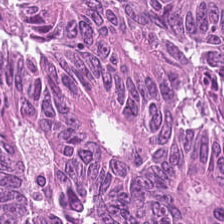Hematoxylin and eosin · 0.5 µm per pixel. The predominant tissue is tumor epithelium.
